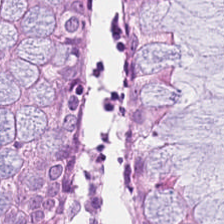Hematoxylin-and-eosin section: benign colonic mucosa.
